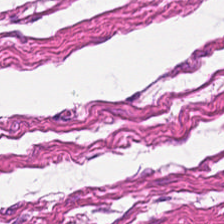0.5 µm/px. Hematoxylin-and-eosin stained section. Formalin-fixed paraffin-embedded section — The tissue is muscularis.
